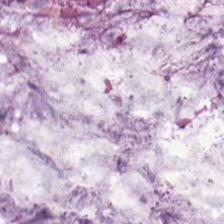Impression — extracellular mucin.
